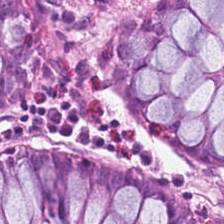Hematoxylin-and-eosin stained section. This patch shows normal colonic mucosa.
